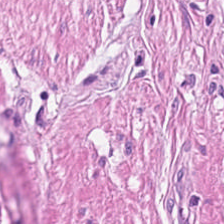224×224 pixel tile · H&E.
Q: What does this patch show?
A: Smooth muscle.
